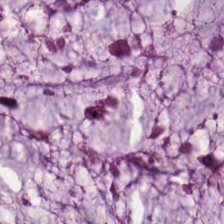H&E stain.
The tissue type is mucus.
